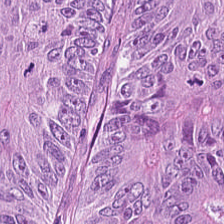H&E stain. Q: What is shown in this field?
A: This is colorectal adenocarcinoma.
